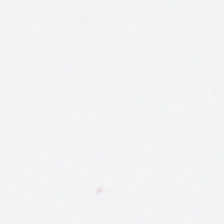224×224 px patch; hematoxylin-and-eosin stained section — Impression — empty background.
